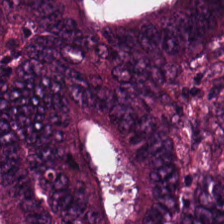H&E — This field is colorectal adenocarcinoma epithelium.
